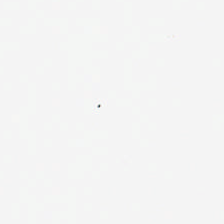20× equivalent magnification. H&E. This patch shows background (no tissue).
